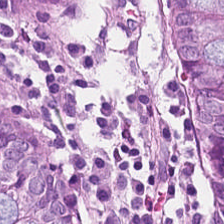0.5 microns per pixel · brightfield microscopy · H&E stain — Normal colon mucosa.
